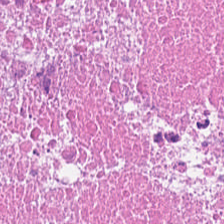Hematoxylin and eosin; brightfield. {"tissue_type": "necrotic debris"}
